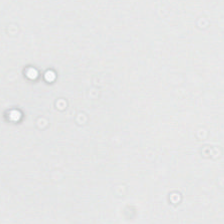Stain: hematoxylin and eosin.
Tile size: 224×224 px tile.
Field content: background.
